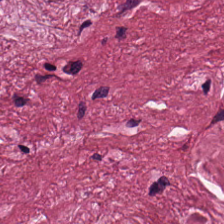Tissue class — tumor-associated stroma.
